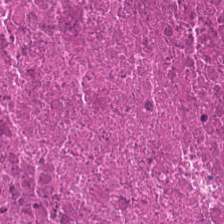Showing cellular debris.
